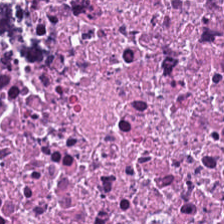H&E stain · 224×224 px patch · FFPE tissue section. Tissue class = necrotic debris.
